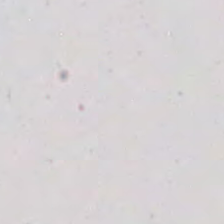Brightfield; 224×224 pixel tile; H&E-stained tissue section — This field is background (no tissue).
